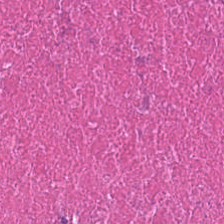H&E-stained tissue section.
Finding — cellular debris.
